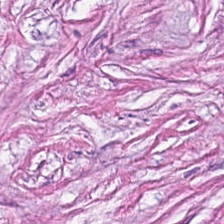H&E.
Classification — tumor-associated stroma.
